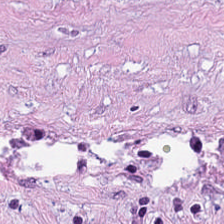H&E stain; 0.5 µm per pixel — Finding — tumor-associated stroma.
